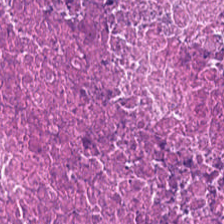The predominant tissue is necrotic debris.
